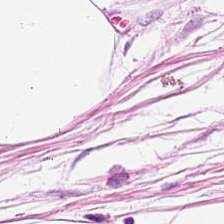224×224 pixel tile. WSI patch. H&E — Tissue: fat tissue.
